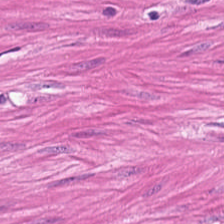H&E — muscularis.
